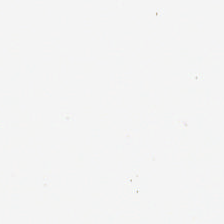224×224 pixel tile · 0.5 µm/px · hematoxylin-and-eosin stained section.
{"content": "empty background"}
